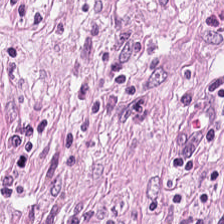0.5 µm/px · H&E-stained tissue section.
Tissue type: cancer-associated stroma.
